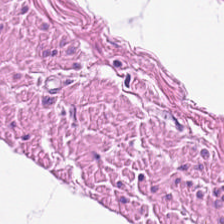Q: What tissue is shown?
A: This is smooth muscle.
